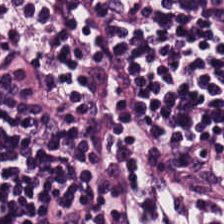H&E stain. Q: What is shown in this field?
A: It is lymphoid infiltrate.
